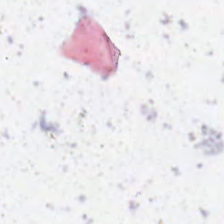No tissue present; background only.
